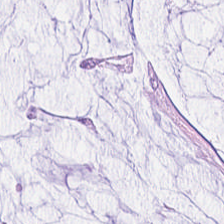Stain: H&E stain.
Acquisition: WSI patch.
Resolution: 20× equivalent magnification.
Predominant tissue: mucus.
